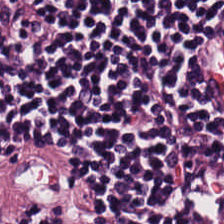Hematoxylin-and-eosin stained section — The predominant tissue is lymphocyte aggregate.
